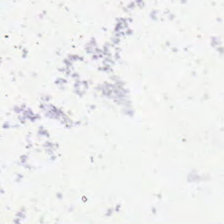224×224 px tile. H&E. Q: What does this patch show?
A: Empty background.
